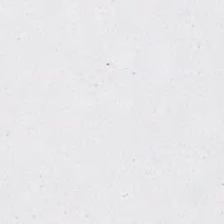H&E. 20× equivalent magnification.
No tissue present; background only.
